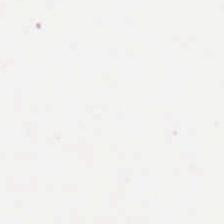Background — no tissue in this field.
